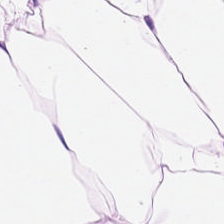Stain: hematoxylin-and-eosin stained section.
Tissue class: adipose tissue.
